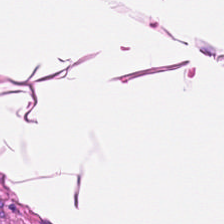H&E-stained tissue section — {"tissue_type": "muscularis"}
